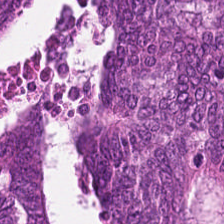Hematoxylin-and-eosin stained section. Colorectal adenocarcinoma epithelium.
